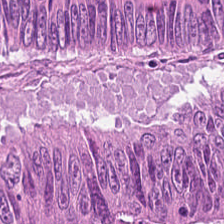H&E-stained section; the field shows malignant epithelium.
